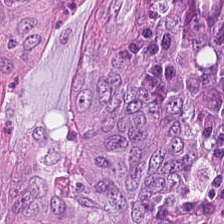H&E-stained tissue section — Showing colorectal adenocarcinoma epithelium.
